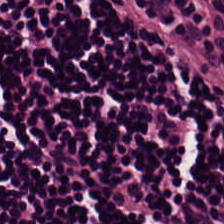Hematoxylin-and-eosin stained section.
Tissue = lymphocyte aggregate.
